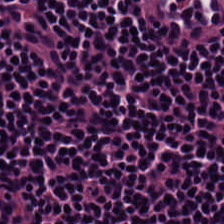Showing lymphocyte aggregate.
